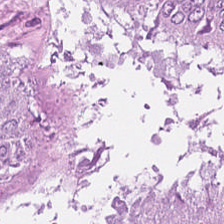Brightfield microscopy · hematoxylin and eosin · 224×224 px tile. Showing adenocarcinoma.
